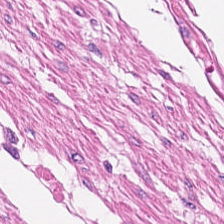H&E-stained tissue section.
This patch shows muscularis.
